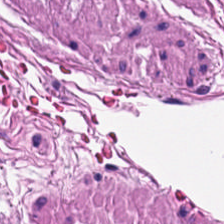{"tissue_type": "smooth-muscle tissue"}
